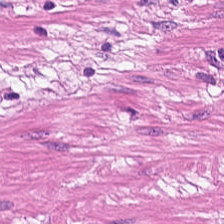20× equivalent magnification; H&E — Q: What does this patch show?
A: The field shows muscularis.
